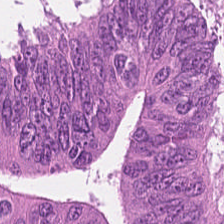Stain: hematoxylin-and-eosin stained section.
Tissue type: adenocarcinoma.
